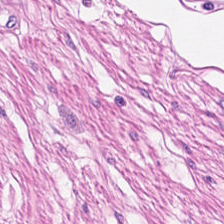H&E patch showing muscularis.
